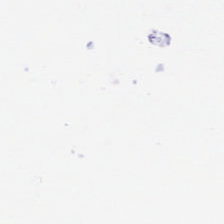H&E stain. No tissue.
